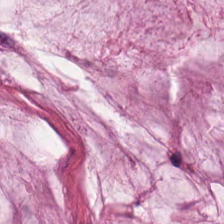H&E; 20× equivalent magnification.
Tissue class: extracellular mucin.
